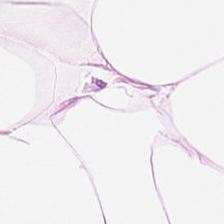Stain: hematoxylin and eosin.
Resolution: 0.5 microns per pixel.
Classification: adipose.
